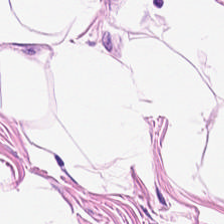H&E; brightfield; FFPE.
Tissue class = fat tissue.
